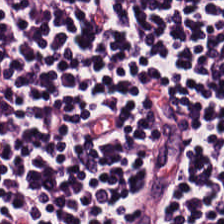H&E stain — Q: What is shown in this field?
A: The field shows lymphocytic infiltrate.
